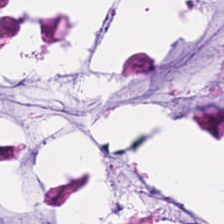Hematoxylin-and-eosin stained section. Finding → malignant epithelium.
